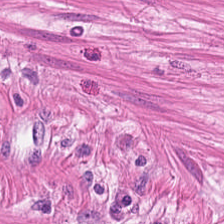0.5 microns per pixel. 224×224 px patch. H&E. This field is smooth muscle.
